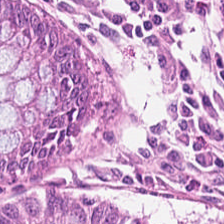H&E stain. Non-neoplastic colon mucosa.
